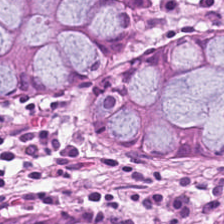H&E stain. 0.5 µm per pixel. 224×224 px tile — This patch shows non-neoplastic colon mucosa.
